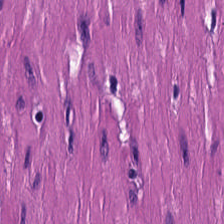H&E stain; 20× equivalent magnification — Predominantly smooth muscle.
